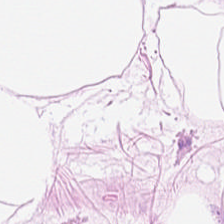H&E. Tissue: adipose tissue.
